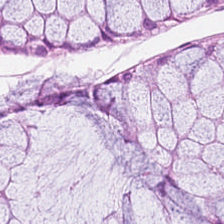H&E stain.
Q: What tissue is shown?
A: Benign colonic mucosa.
